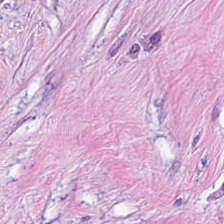Q: What is the predominant tissue type?
A: The field shows desmoplastic stroma.
